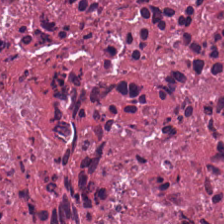H&E-stained tissue section.
{"tissue_type": "necrotic debris"}
